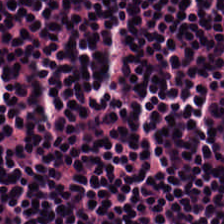H&E-stained tissue section · 224×224 px patch · FFPE. The tissue here is lymphoid infiltrate.
